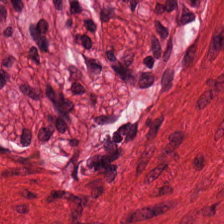Stain: hematoxylin-and-eosin stained section.
Tissue type: smooth muscle.
